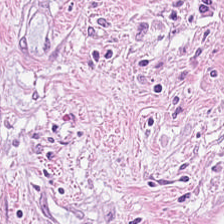Tissue type: tumor stroma.
